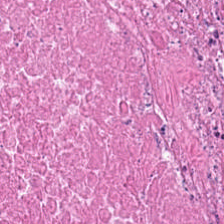Hematoxylin-and-eosin section: debris.
